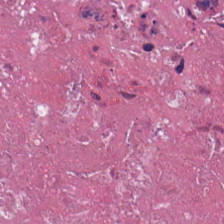Tissue type = necrotic debris.
